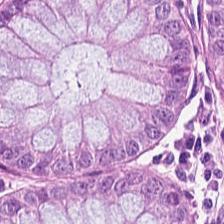H&E.
This patch shows normal colon mucosa.
